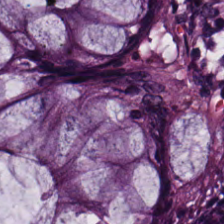Finding — benign colonic mucosa.
